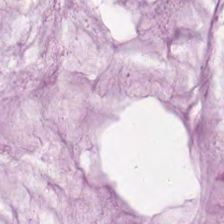H&E patch showing mucus.
